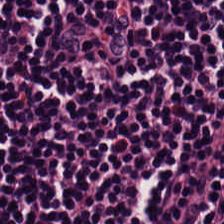H&E-stained tissue section.
Tissue class — lymphocyte aggregate.
